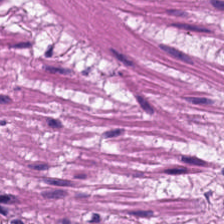Hematoxylin-and-eosin stained section. The tissue here is muscularis.
